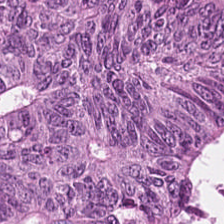H&E · WSI patch · 20× equivalent magnification — Q: What is shown here?
A: This is malignant epithelium.
